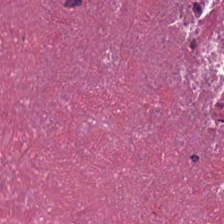H&E-stained tissue section — {"tissue_type": "necrotic debris"}
